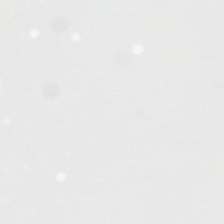H&E stain. Classification — empty background.
